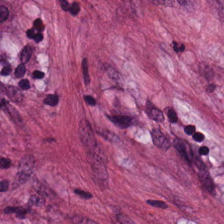H&E. Brightfield — The classification is cancer-associated stroma.
